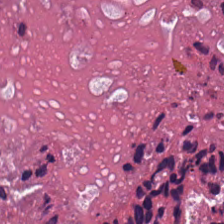Formalin-fixed paraffin-embedded section · hematoxylin-and-eosin stained section.
Q: What type of tissue is this?
A: Cellular debris.
